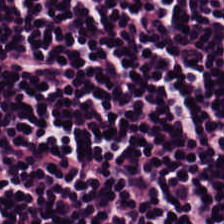Hematoxylin and eosin.
This field is lymphoid infiltrate.
